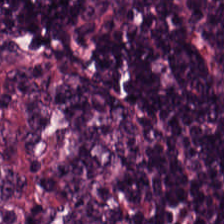Stain: H&E.
Tile size: 224×224 px patch.
Tissue type: lymphocytic infiltrate.
